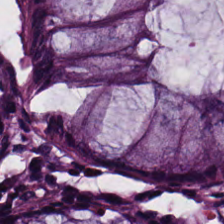H&E-stained tissue section. 20× equivalent magnification — Predominantly normal colon mucosa.
